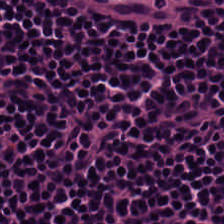H&E-stained tissue section. FFPE tissue section — This patch shows lymphoid infiltrate.
